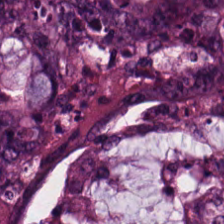Stain: H&E-stained tissue section.
Classification: malignant epithelium.
